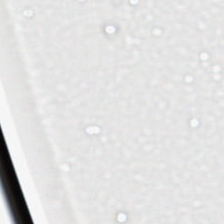No tissue present; background only.
